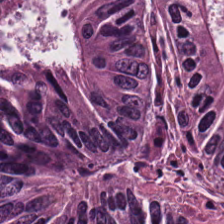This field is tumor epithelium.
